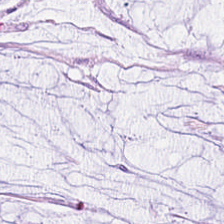H&E stain — This patch shows extracellular mucin.
